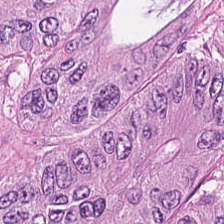Hematoxylin-and-eosin stained section — The predominant tissue is malignant epithelium.
